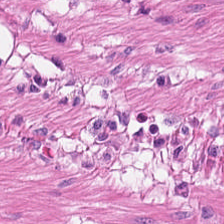Hematoxylin and eosin.
Predominantly smooth-muscle tissue.
